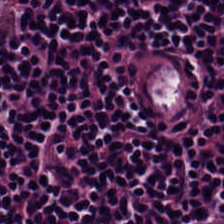Q: What tissue is shown?
A: The field shows lymphocytic infiltrate.
